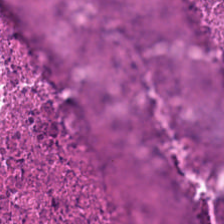224×224 px patch · hematoxylin and eosin — Q: What is shown here?
A: This is debris.
